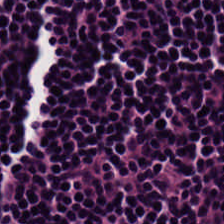H&E-stained tissue section; brightfield microscopy.
Q: What is the predominant tissue type?
A: Lymphocytes.
